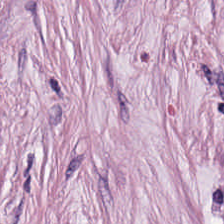Histology → tumor-associated stroma.
